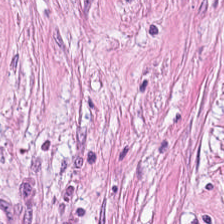FFPE; 224×224 px patch; H&E stain.
Predominantly tumor-associated stroma.
